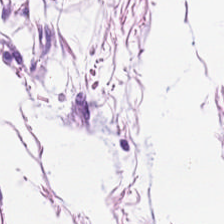H&E-stained tissue section.
The tissue here is adipose.
